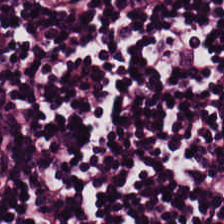H&E; 224×224 px patch — Predominantly lymphoid infiltrate.
